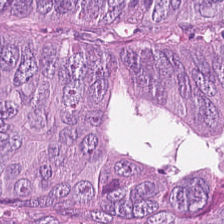H&E-stained tissue section — Classification — adenocarcinoma.
